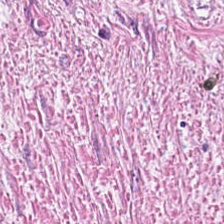Tissue class: tumor stroma.
